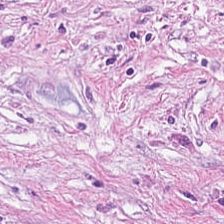0.5 microns per pixel. H&E-stained tissue section. 224×224 pixel tile — Q: What is shown here?
A: The field shows tumor-associated stroma.
